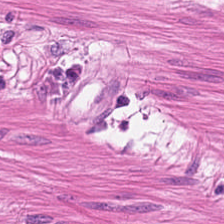Hematoxylin and eosin.
This field is smooth muscle.
